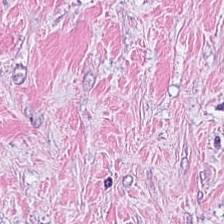Stain: hematoxylin-and-eosin stained section.
Predominant tissue: tumor stroma.
